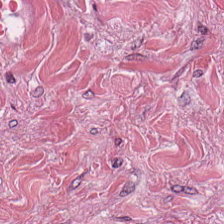Classification — desmoplastic stroma.
